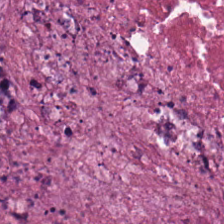Impression → debris.
